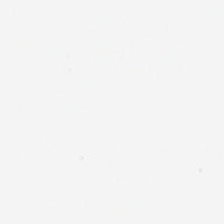Stain: hematoxylin and eosin.
Content: empty background.
